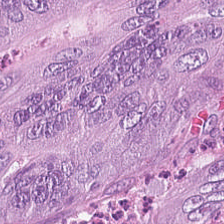Formalin-fixed paraffin-embedded section. 224×224 px tile. Hematoxylin-and-eosin stained section — Tissue = malignant epithelium.
